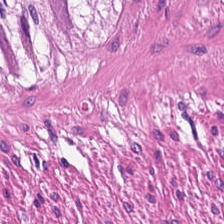224×224 pixel tile · formalin-fixed paraffin-embedded section · hematoxylin and eosin.
This field is smooth muscle.
